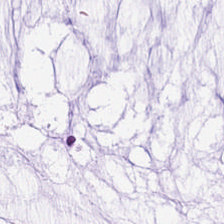0.5 µm/px · 224×224 px tile · H&E-stained tissue section.
This patch shows extracellular mucin.
